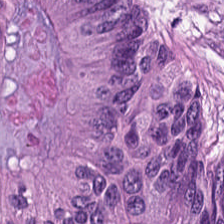H&E-stained tissue section showing tumor epithelium.
